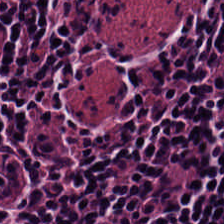Hematoxylin-and-eosin stained section.
This field is lymphoid infiltrate.
